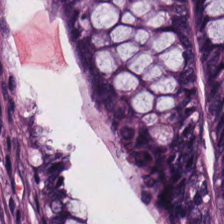H&E.
Tissue class = normal colonic mucosa.
